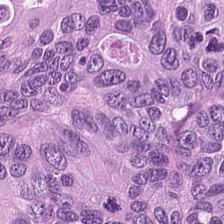Q: What type of tissue is this?
A: The field shows colorectal adenocarcinoma.
